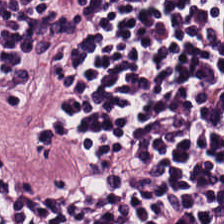Hematoxylin-and-eosin stained section.
Finding → lymphocytes.
